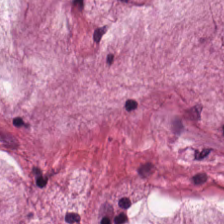Stain: hematoxylin and eosin.
Tile size: 224×224 px tile.
Resolution: 0.5 µm/px.
Classification: mucus.
